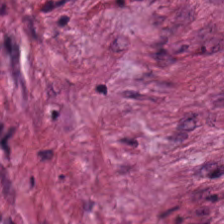Hematoxylin and eosin.
Tissue type: tumor stroma.
